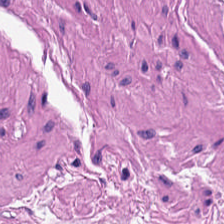Q: What is shown in this field?
A: The field shows smooth-muscle tissue.
